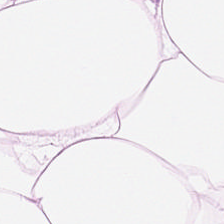H&E stain — Classification = adipose.
